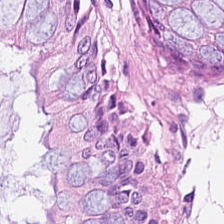Stain: H&E.
Predominant tissue: normal colon mucosa.
